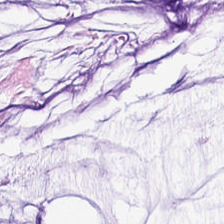224×224 pixel tile; FFPE tissue section; hematoxylin-and-eosin stained section — Q: What tissue is shown?
A: The field shows extracellular mucin.
